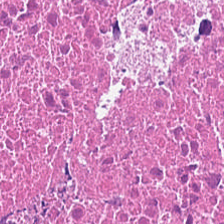The tissue type is cellular debris.
